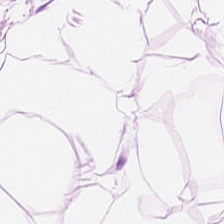H&E-stained tissue section; brightfield microscopy.
Predominantly fat tissue.
